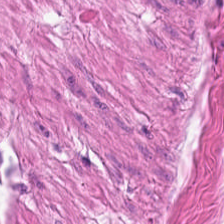Q: What is shown in this field?
A: This is smooth muscle.
